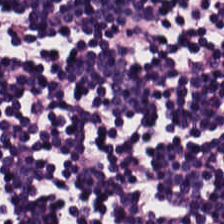Histology — lymphocytes.
